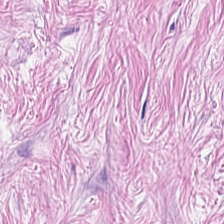Hematoxylin and eosin. The tissue class is tumor-associated stroma.
